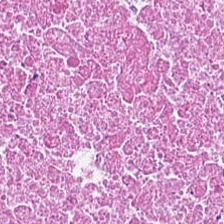Hematoxylin-and-eosin stained section. FFPE — Necrotic debris.
